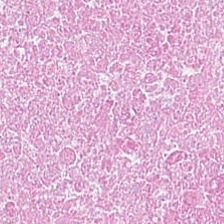Hematoxylin and eosin. Predominantly necrotic debris.
